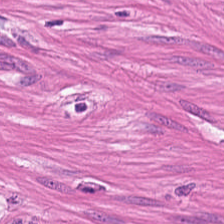0.5 µm/px · brightfield · hematoxylin and eosin — Finding — smooth muscle.
